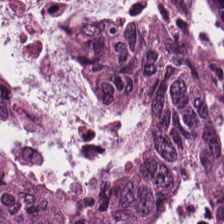Hematoxylin and eosin; 20× equivalent magnification.
The tissue here is colorectal adenocarcinoma epithelium.
